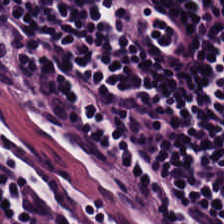Stain: H&E-stained tissue section.
Tissue: lymphocyte aggregate.
